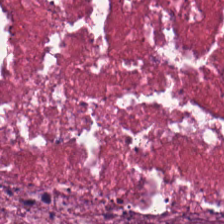Hematoxylin-and-eosin stained section. Brightfield. This field is debris.
